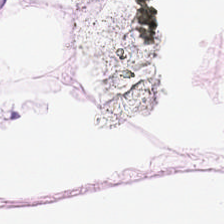H&E; 224×224 pixel tile — Q: What is shown in this field?
A: Adipocytes.
